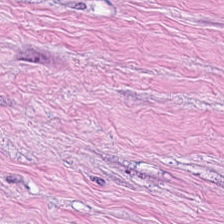Formalin-fixed paraffin-embedded section. Hematoxylin and eosin. 224×224 pixel tile.
Tissue — tumor-associated stroma.
